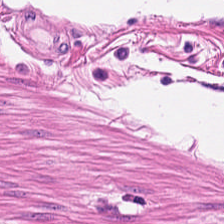Hematoxylin-and-eosin stained section — The tissue here is muscularis.
